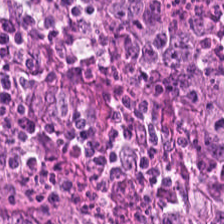H&E stain — {"tissue_type": "malignant epithelium"}
